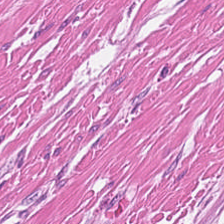H&E-stained tissue section. Tissue type = muscularis.
